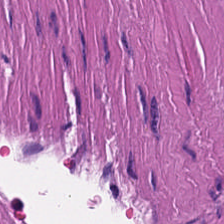Predominantly muscularis.
